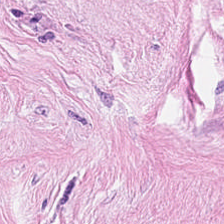Stain: H&E stain.
Tissue: cancer-associated stroma.
